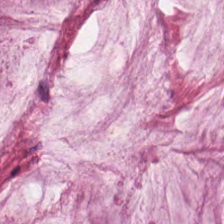Hematoxylin-and-eosin stained section — Q: What tissue is shown?
A: This is extracellular mucin.
